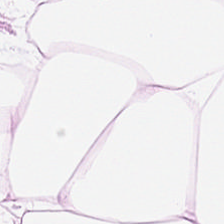H&E.
Showing adipose.
